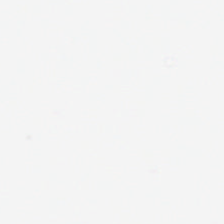Q: What is shown in this field?
A: It is background.
